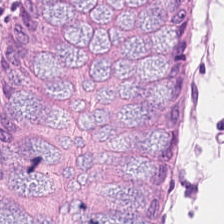Hematoxylin-and-eosin stained section.
The classification is non-neoplastic colon mucosa.
